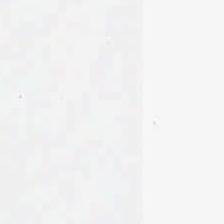Brightfield microscopy; FFPE; H&E.
No tissue present; background only.
